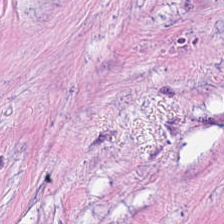Stain: H&E stain.
Tissue class: cancer-associated stroma.
